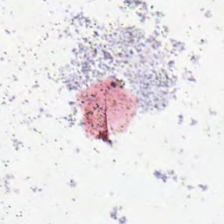Hematoxylin and eosin. No tissue.
